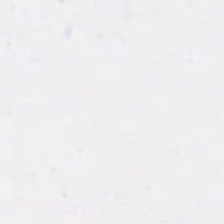FFPE. Whole-slide-image patch. H&E.
No tissue present; background only.
